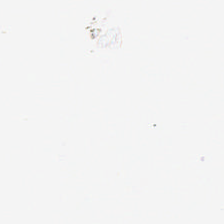H&E-stained tissue section. Field content = no tissue.
